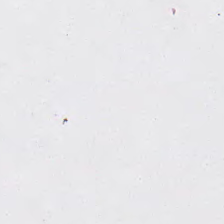Hematoxylin and eosin. No tissue present; background only.
